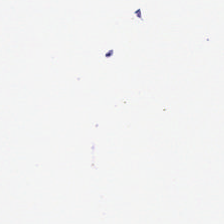Hematoxylin and eosin · 224×224 pixel tile · 0.5 µm per pixel. This patch shows empty background.
